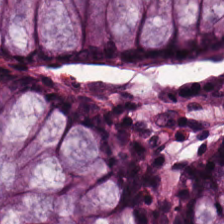Hematoxylin-and-eosin stained section; 224×224 px tile. The tissue here is non-neoplastic colon mucosa.
